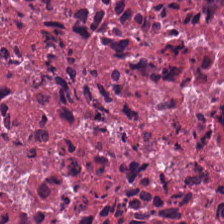This patch shows debris.
